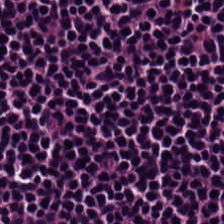H&E stain · formalin-fixed paraffin-embedded section.
This patch shows lymphoid infiltrate.
